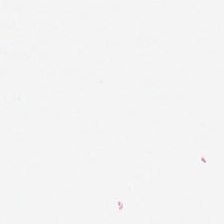Hematoxylin and eosin — Field content = background.
